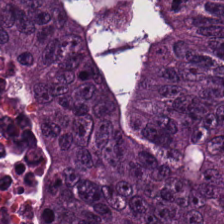H&E stain. Brightfield — Predominant tissue: colorectal adenocarcinoma.
